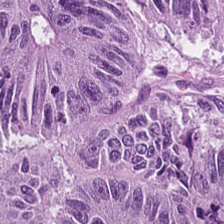0.5 µm/px; hematoxylin-and-eosin stained section.
This field is colorectal adenocarcinoma.
